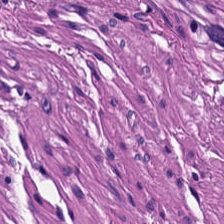Hematoxylin and eosin.
The tissue here is muscularis.
